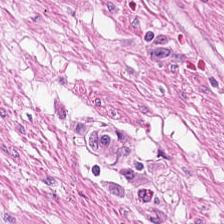H&E — Q: What does this patch show?
A: The field shows smooth-muscle tissue.
